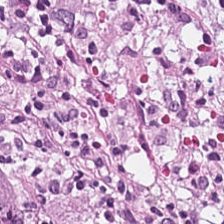Stain: H&E.
Predominant tissue: desmoplastic stroma.
